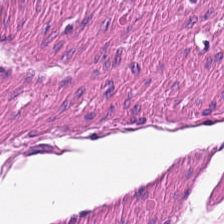H&E. 20× equivalent magnification — Tissue — smooth muscle.
